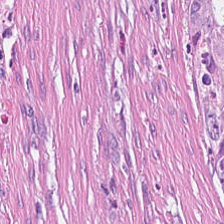Hematoxylin and eosin — Q: Classify this patch.
A: Tumor-associated stroma.
